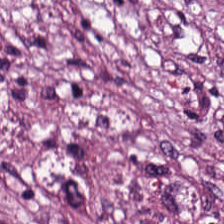H&E stain. Predominant tissue — tumor-associated stroma.
